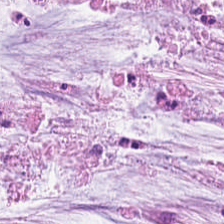Stain: hematoxylin and eosin.
Resolution: 0.5 µm per pixel.
Predominant tissue: extracellular mucin.
